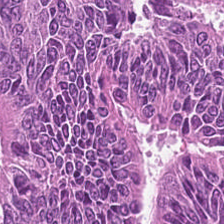Histology → colorectal adenocarcinoma epithelium.
